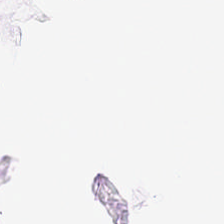Brightfield. FFPE tissue section. H&E stain.
This field is background (no tissue).
